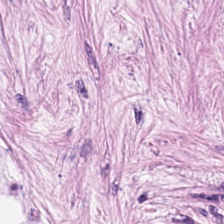H&E stain. Brightfield. FFPE tissue section — Impression → tumor stroma.
